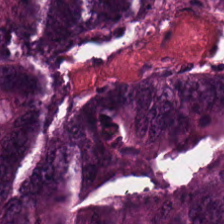Hematoxylin and eosin — Tissue class — adenocarcinoma.
